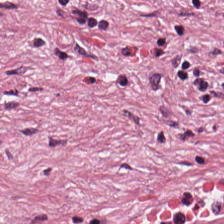Showing tumor-associated stroma.
